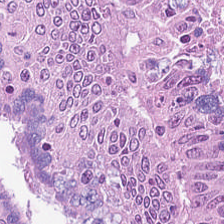H&E-stained tissue section.
Q: What tissue is shown?
A: The field shows colorectal adenocarcinoma epithelium.
